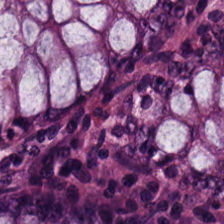Stain: H&E stain.
Tile size: 224×224 pixel tile.
Tissue type: normal colon mucosa.
